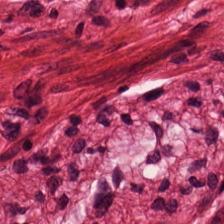H&E.
Tissue class — smooth-muscle tissue.
